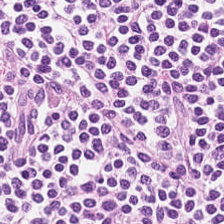20× equivalent magnification. Hematoxylin-and-eosin stained section. Formalin-fixed paraffin-embedded section — The tissue type is lymphocytes.
